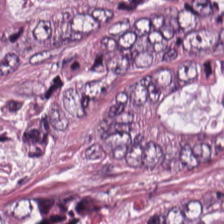Q: What type of tissue is this?
A: This is tumor epithelium.
